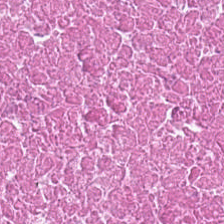H&E-stained tissue section. FFPE — Tissue type: debris.
